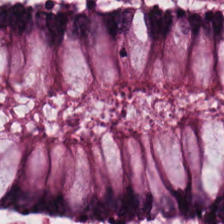Q: What is shown in this field?
A: The field shows benign colonic mucosa.
